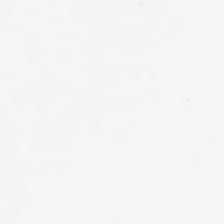FFPE; H&E-stained tissue section. Histology → no tissue.
